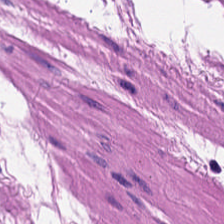WSI patch. H&E stain. Finding — muscularis.
